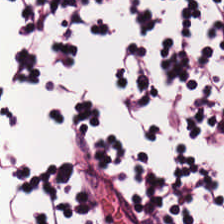0.5 µm per pixel · H&E · FFPE.
Q: What is shown here?
A: This is lymphocytes.
